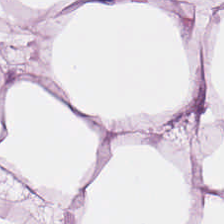Stain: H&E stain.
Predominant tissue: adipose.
